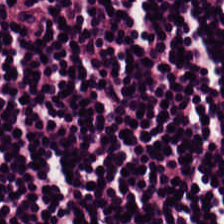Stain: H&E-stained tissue section.
Resolution: 0.5 µm per pixel.
Tissue type: lymphocytic infiltrate.
